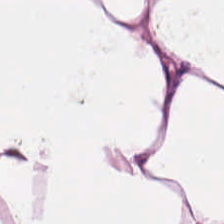The tissue is adipocytes.
